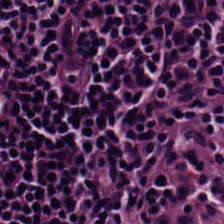Hematoxylin-and-eosin stained section. 0.5 microns per pixel. WSI patch — Q: Identify the tissue.
A: Lymphocytes.
